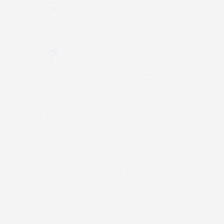Hematoxylin-and-eosin stained section — Q: What is shown in this field?
A: This is background.
